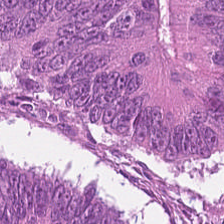Stain: H&E-stained tissue section.
Tissue class: tumor epithelium.
